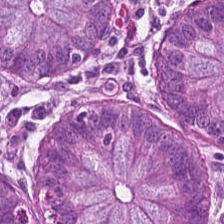224×224 px tile · 0.5 µm per pixel · H&E stain.
Finding → benign colonic mucosa.
